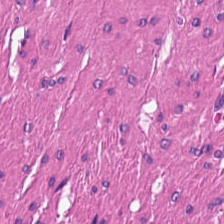H&E patch showing smooth-muscle tissue.
